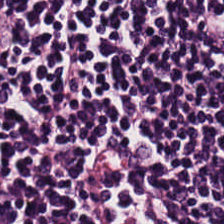224×224 px patch; 0.5 µm/px; H&E stain. The predominant tissue is lymphocytes.
